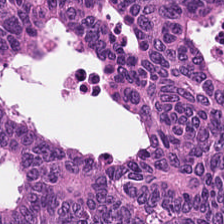Tissue type: colorectal adenocarcinoma epithelium.
